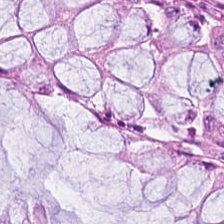Hematoxylin and eosin.
Showing normal colonic mucosa.
